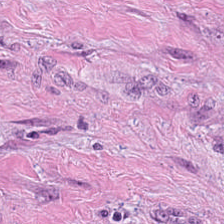This patch shows tumor stroma.
